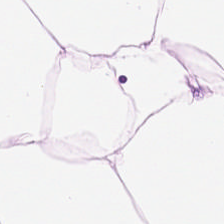Q: What does this patch show?
A: The field shows adipocytes.
